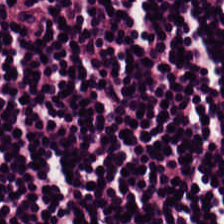Hematoxylin-and-eosin stained section.
Tissue class: lymphocytes.
